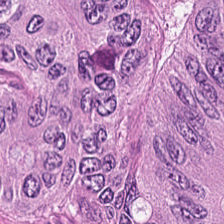Impression — malignant epithelium.
